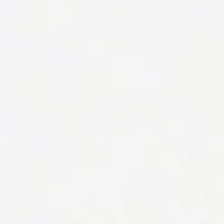This patch shows no tissue.
